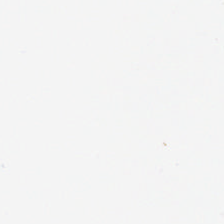Hematoxylin and eosin.
No tissue present; background only.
